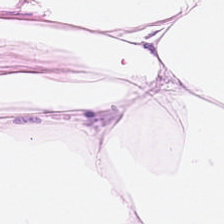Q: What is the predominant tissue type?
A: Adipocytes.
